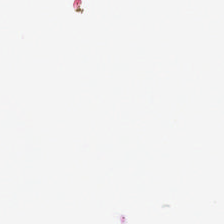Hematoxylin and eosin. 0.5 microns per pixel.
Field content: no tissue.
